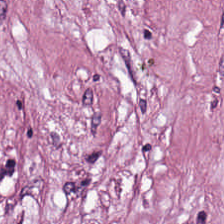The predominant tissue is desmoplastic stroma.
